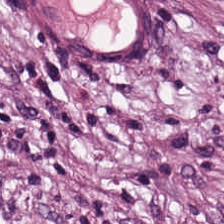H&E stain. The tissue here is cancer-associated stroma.
